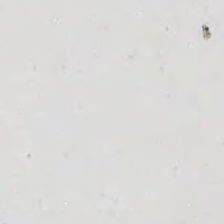H&E-stained tissue section · 0.5 microns per pixel — Content: background.
